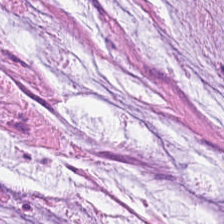Whole-slide-image patch · hematoxylin-and-eosin stained section.
Predominant tissue: mucus.
